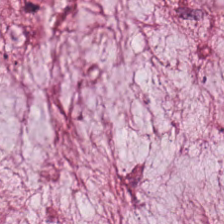The tissue type is mucus.
